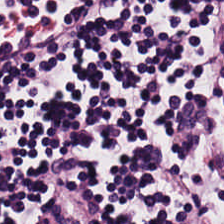Brightfield microscopy. Hematoxylin-and-eosin stained section. Predominantly lymphoid infiltrate.
